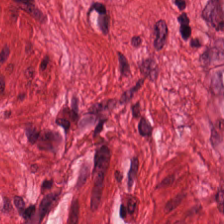20× equivalent magnification · hematoxylin and eosin. Q: What tissue is shown?
A: It is muscularis.
